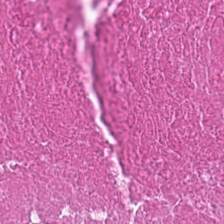Hematoxylin and eosin — Tissue class: debris.
